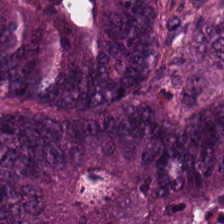H&E stain. Brightfield microscopy. FFPE tissue section — The tissue is colorectal adenocarcinoma.
